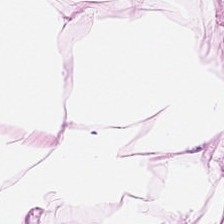WSI patch; hematoxylin-and-eosin stained section. This field is adipose tissue.
